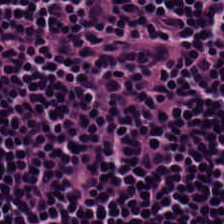Lymphocytic infiltrate.
